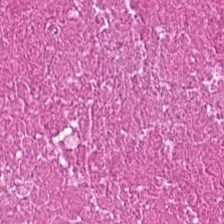Hematoxylin-and-eosin stained section. Impression → debris.
